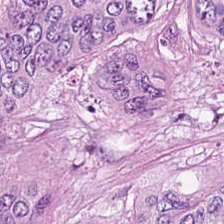Tissue class — malignant epithelium.
